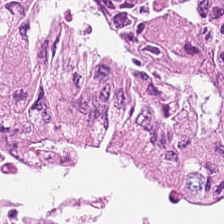H&E — The predominant tissue is adenocarcinoma.
